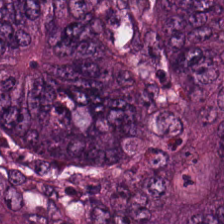Brightfield microscopy. H&E-stained tissue section. 0.5 µm/px.
Predominant tissue = tumor epithelium.
